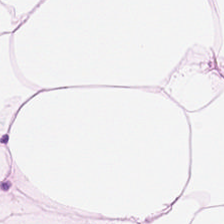Tissue type: adipose.
